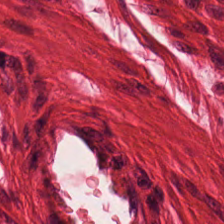Q: What tissue type is shown here?
A: It is smooth muscle.
